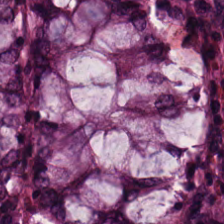Stain: hematoxylin-and-eosin stained section.
Tile size: 224×224 px patch.
Tissue: non-neoplastic colon mucosa.
